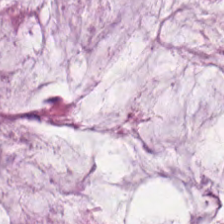H&E stain; 0.5 µm/px; brightfield. Q: What is shown here?
A: This is mucus.
